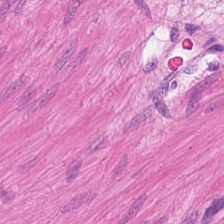H&E-stained section; the field shows smooth-muscle tissue.
